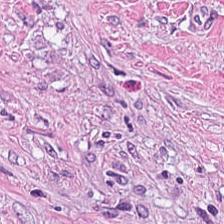H&E — Predominantly cancer-associated stroma.
